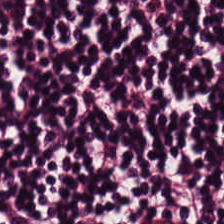H&E.
Showing lymphocytic infiltrate.
